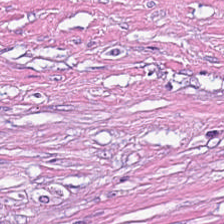Hematoxylin-and-eosin stained section.
Finding → desmoplastic stroma.
